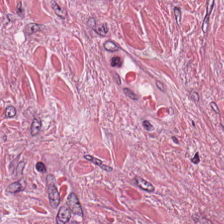H&E-stained tissue section.
Tumor-associated stroma.
